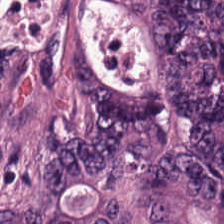Hematoxylin and eosin.
Colorectal adenocarcinoma.
